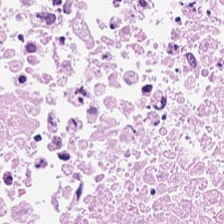Hematoxylin-and-eosin stained section. Brightfield microscopy. FFPE — Predominant tissue = debris.
